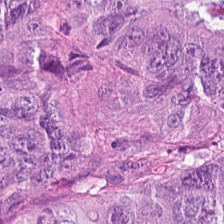Hematoxylin and eosin — Classification: adenocarcinoma.
